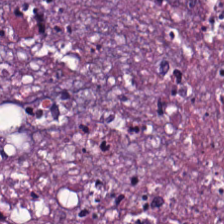Brightfield microscopy · hematoxylin and eosin — Q: What tissue type is shown here?
A: Debris.
